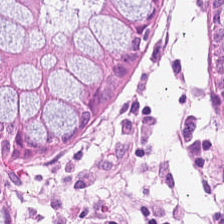Predominantly benign colonic mucosa.
